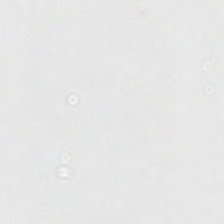Stain: H&E-stained tissue section.
Acquisition: brightfield microscopy.
Content: background (no tissue).
